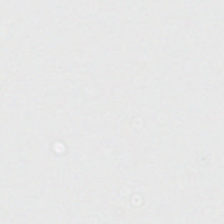H&E stain. This field is background (no tissue).
